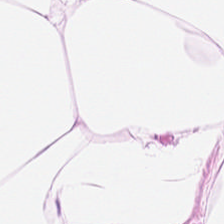Hematoxylin and eosin.
This field is adipocytes.
